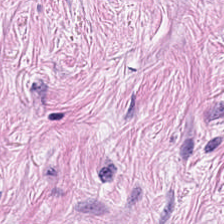The tissue is tumor-associated stroma.
